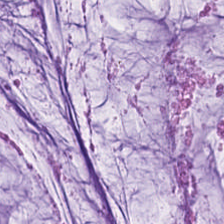Stain: H&E stain.
Tissue type: extracellular mucin.
